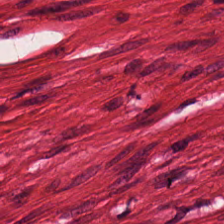H&E-stained tissue section; 224×224 px patch.
Impression → smooth-muscle tissue.
